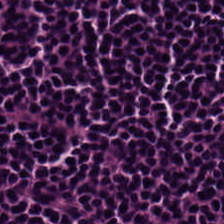Q: What is the predominant tissue type?
A: Lymphocyte aggregate.
